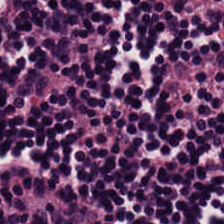Histology — lymphoid infiltrate.
